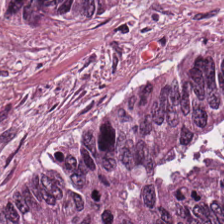The predominant tissue is tumor epithelium.
